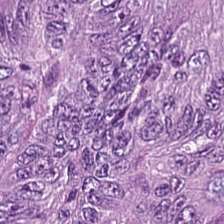Hematoxylin-and-eosin section: colorectal adenocarcinoma.
